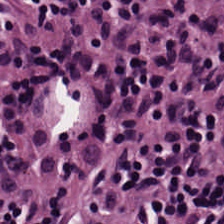H&E-stained tissue section. FFPE tissue section. 0.5 µm per pixel — {"tissue_type": "lymphocytes"}
